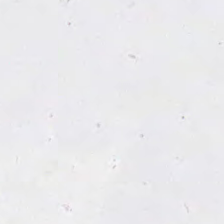H&E · whole-slide-image patch — Field content = background (no tissue).
